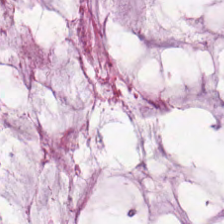H&E · brightfield.
Predominant tissue — mucus.
